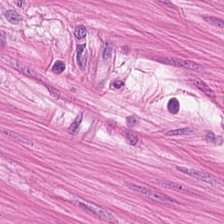Q: Identify the tissue.
A: Smooth-muscle tissue.
